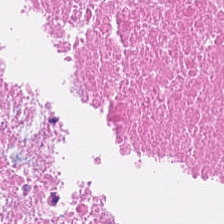Hematoxylin and eosin · whole-slide-image patch · 224×224 pixel tile — Q: Identify the tissue.
A: This is necrotic debris.
